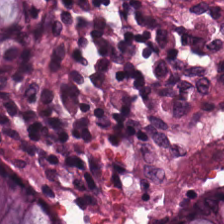H&E stain; 224×224 px patch. This patch shows normal colonic mucosa.
